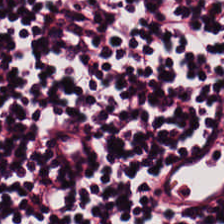Hematoxylin-and-eosin stained section — Tissue: lymphocytes.
